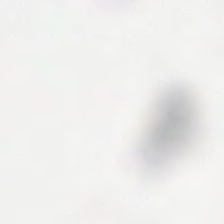Hematoxylin-and-eosin stained section.
Q: What is shown in this field?
A: This is empty background.
